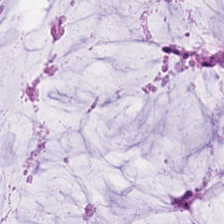Q: What tissue is shown?
A: It is mucus.
